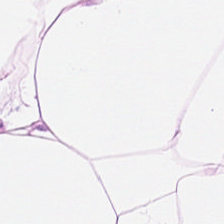Brightfield microscopy; 224×224 px tile; H&E.
Q: What is shown in this field?
A: The field shows fat tissue.
